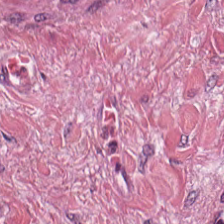0.5 microns per pixel. Hematoxylin and eosin.
Q: What does this patch show?
A: Desmoplastic stroma.
